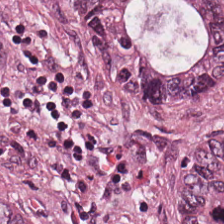H&E patch showing malignant epithelium.
